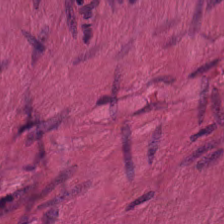H&E-stained tissue section — {"tissue_type": "smooth muscle"}
